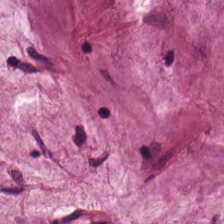Q: What tissue type is shown here?
A: The field shows mucus.
